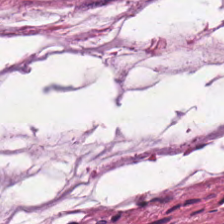H&E.
Tissue type: mucus.
